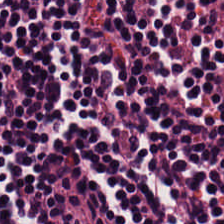0.5 µm/px; H&E stain.
Tissue — lymphocytes.
